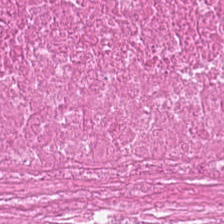H&E stain.
Tissue = debris.
